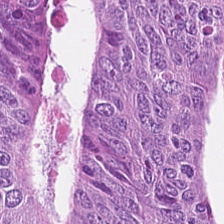H&E stain. Showing tumor epithelium.
